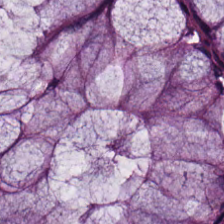Hematoxylin and eosin.
The predominant tissue is normal colon mucosa.
